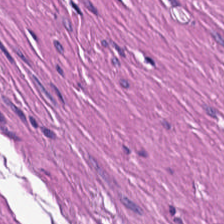Predominant tissue: smooth muscle.
